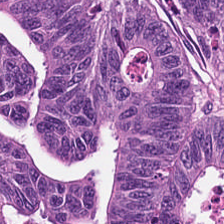Q: What tissue is shown?
A: It is colorectal adenocarcinoma epithelium.
